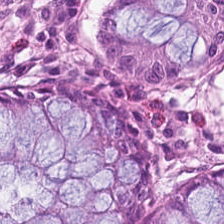The tissue here is normal colon mucosa.
